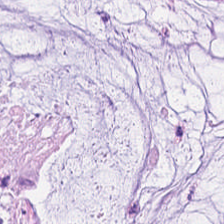H&E-stained tissue section. The predominant tissue is extracellular mucin.
